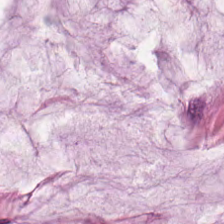0.5 µm/px; H&E-stained tissue section.
Q: What does this patch show?
A: Mucin.
